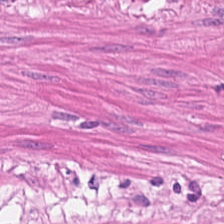Tissue — muscularis.
